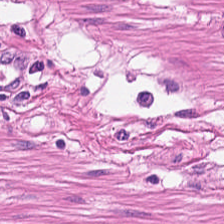Formalin-fixed paraffin-embedded section · H&E. The tissue is smooth-muscle tissue.
